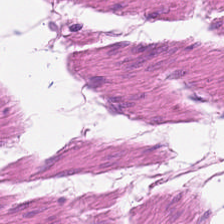224×224 pixel tile · H&E-stained tissue section.
Impression → smooth muscle.
